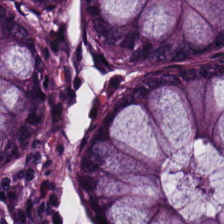Hematoxylin-and-eosin stained section · 224×224 pixel tile — Q: Identify the tissue.
A: It is normal colon mucosa.
